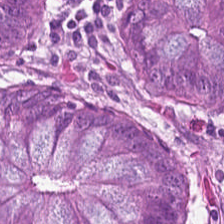224×224 pixel tile; H&E stain; 20× equivalent magnification. Classification — normal colon mucosa.
